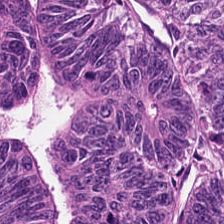Stain: H&E.
Acquisition: brightfield.
Predominant tissue: malignant epithelium.
